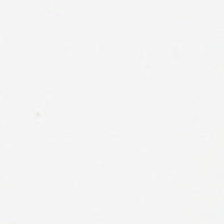20× equivalent magnification · brightfield microscopy · H&E stain. Classification: background.
